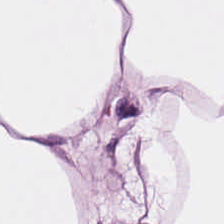Formalin-fixed paraffin-embedded section. H&E stain. Brightfield microscopy. Histology → adipose tissue.
